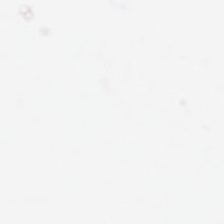FFPE tissue section; hematoxylin-and-eosin stained section; 224×224 px tile.
Impression → background (no tissue).
